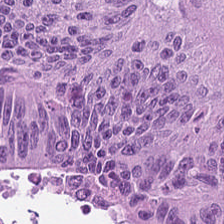H&E.
Tissue type = malignant epithelium.
